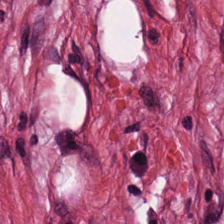224×224 pixel tile; hematoxylin and eosin — Q: Classify this patch.
A: Tumor stroma.
